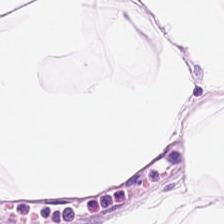H&E-stained tissue section — This field is adipose.
